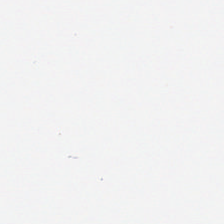WSI patch; H&E-stained tissue section; 20× equivalent magnification — Impression — empty background.
